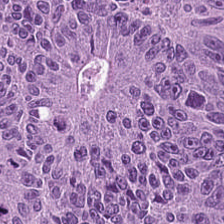H&E stain — Predominant tissue — malignant epithelium.
